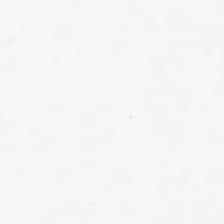Stain: hematoxylin-and-eosin stained section.
Field content: background.
